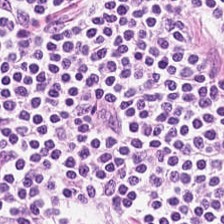20× equivalent magnification · H&E · formalin-fixed paraffin-embedded section — Predominantly lymphocyte aggregate.
